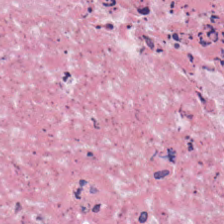Stain: H&E stain.
Classification: debris.
